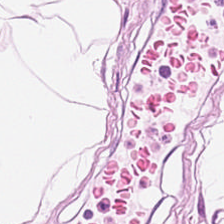Hematoxylin-and-eosin stained section — The classification is adipocytes.
